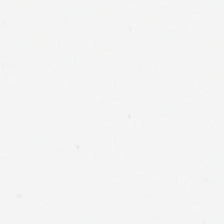Stain: H&E.
Classification: background (no tissue).
